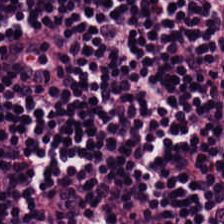H&E stain. This field is lymphocytes.
